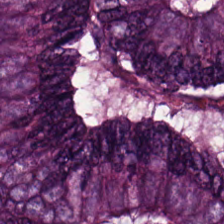Hematoxylin and eosin. FFPE tissue section — Tissue class = tumor epithelium.
